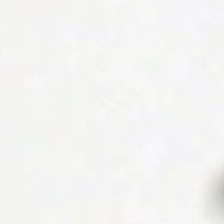Stain: H&E-stained tissue section.
Tile size: 224×224 px patch.
Classification: no tissue.
